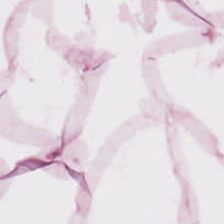H&E-stained section; the field shows adipose tissue.
